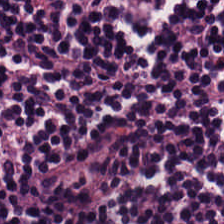Stain: H&E stain.
Predominant tissue: lymphoid infiltrate.
